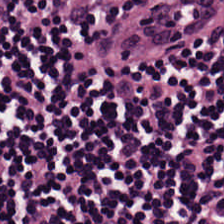Stain: H&E.
Tile size: 224×224 px patch.
Tissue type: lymphocyte aggregate.
